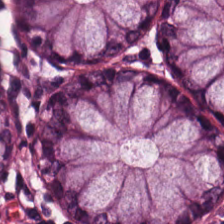The classification is benign colonic mucosa.
